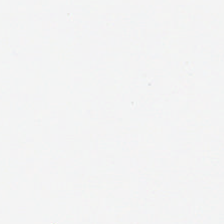Hematoxylin and eosin. FFPE. 224×224 pixel tile. Background — no tissue in this field.
